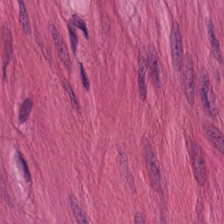0.5 µm/px; FFPE tissue section; H&E.
Tissue type — smooth-muscle tissue.
